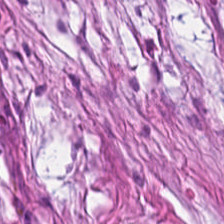Hematoxylin-and-eosin section: cancer-associated stroma.
